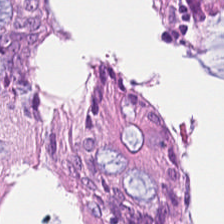Q: What type of tissue is this?
A: This is non-neoplastic colon mucosa.
